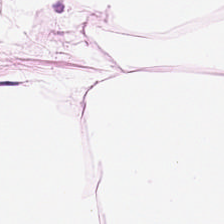The tissue class is adipose.
